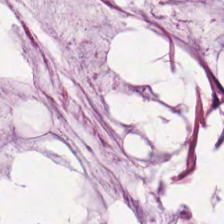0.5 microns per pixel; FFPE tissue section; hematoxylin and eosin. Tissue — mucus.
